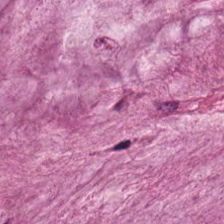Hematoxylin-and-eosin stained section. {"tissue_type": "extracellular mucin"}
